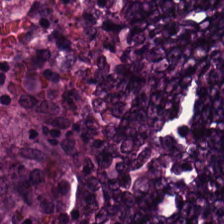224×224 px tile; H&E-stained tissue section. Histology → tumor epithelium.
